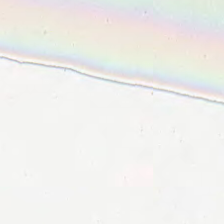Hematoxylin and eosin.
No tissue.
